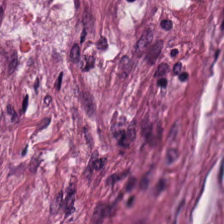Hematoxylin and eosin — The predominant tissue is desmoplastic stroma.
